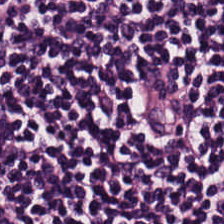Hematoxylin-and-eosin stained section; brightfield microscopy.
Classification — lymphocyte aggregate.
